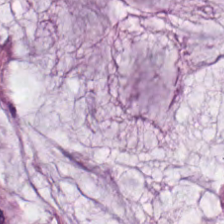Whole-slide-image patch. 0.5 µm per pixel. H&E — Tissue type — mucus.
